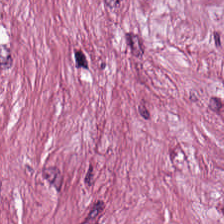Stain: H&E stain.
Tissue: tumor-associated stroma.
